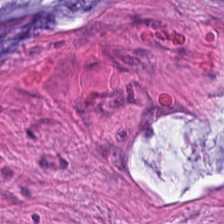0.5 µm/px; hematoxylin and eosin; FFPE — Classification — extracellular mucin.
